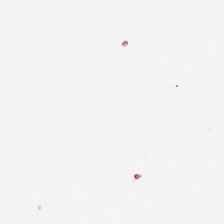This field is background (no tissue).
